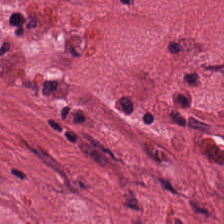H&E patch showing tumor stroma.
